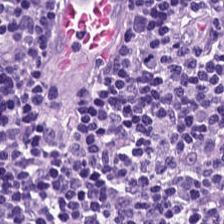The predominant tissue is lymphocytes.
